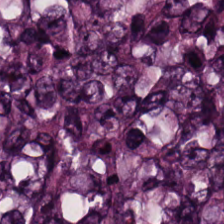Brightfield. 0.5 µm/px. H&E-stained tissue section — Impression → colorectal adenocarcinoma epithelium.
